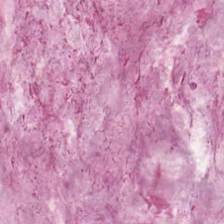Hematoxylin-and-eosin stained section.
Tissue type: mucus.
